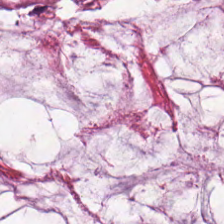Hematoxylin and eosin · formalin-fixed paraffin-embedded section · 0.5 µm/px — Q: What tissue is shown?
A: Mucus.
